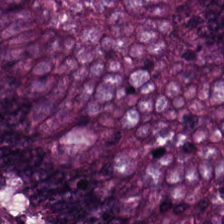Stain: H&E-stained tissue section.
Tissue class: colorectal adenocarcinoma.
